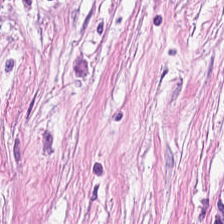H&E-stained section; the field shows tumor-associated stroma.
